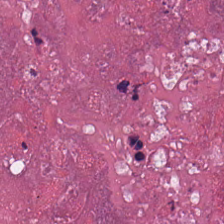H&E stain. This field is necrotic debris.
